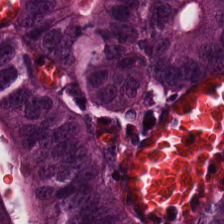Q: Classify this patch.
A: This is tumor epithelium.
